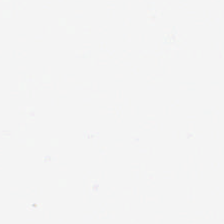H&E — Empty field — background.
